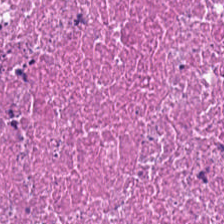20× equivalent magnification; hematoxylin-and-eosin stained section.
The tissue here is necrotic debris.
